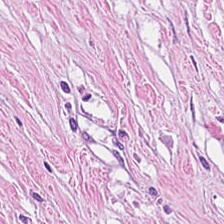H&E.
Predominant tissue — tumor-associated stroma.
